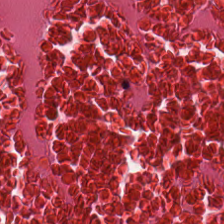H&E stain. The tissue here is cellular debris.
